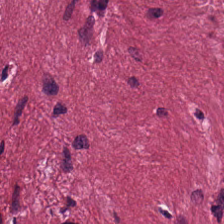H&E stain. Q: Classify this patch.
A: Tumor stroma.
